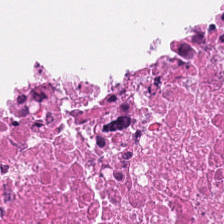This field is debris.
